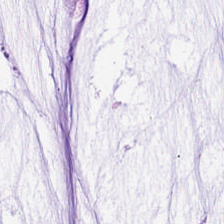H&E; FFPE. The predominant tissue is mucus.
